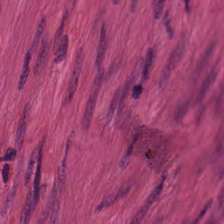{"tissue_type": "smooth-muscle tissue"}
